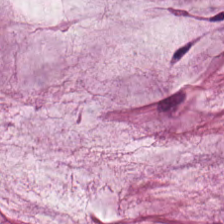H&E-stained tissue section. 224×224 pixel tile.
Tissue — mucus.
